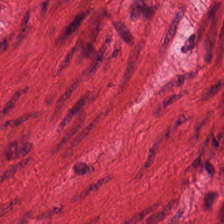Brightfield; hematoxylin-and-eosin stained section; 224×224 pixel tile — Tissue = smooth muscle.
